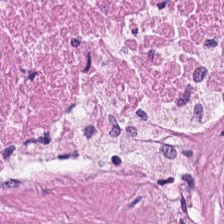Hematoxylin and eosin — {"tissue_type": "debris"}
